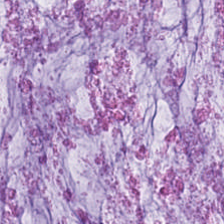H&E stain.
This patch shows mucus.
